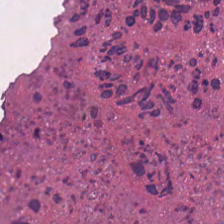Hematoxylin and eosin.
Impression — debris.
